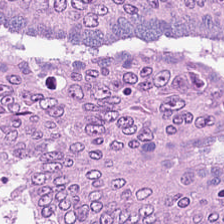H&E. Q: What is the predominant tissue type?
A: It is adenocarcinoma.
